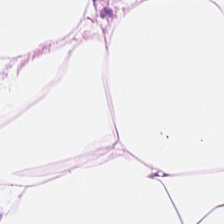Hematoxylin and eosin. Fat tissue.
